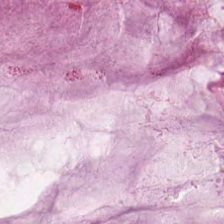Finding → extracellular mucin.
